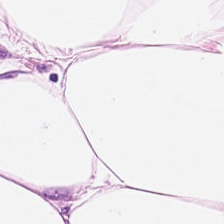Formalin-fixed paraffin-embedded section; 224×224 pixel tile; H&E. Predominantly fat tissue.
